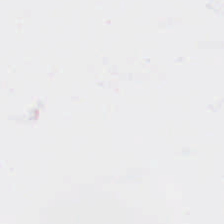Hematoxylin-and-eosin stained section · brightfield — Q: What is shown here?
A: The field shows background (no tissue).
